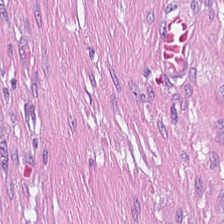Histology — cancer-associated stroma.
